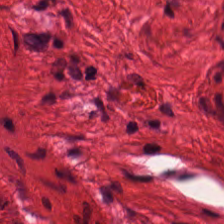H&E.
Showing muscularis.
